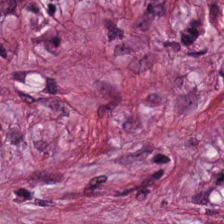Hematoxylin-and-eosin section: cancer-associated stroma.
